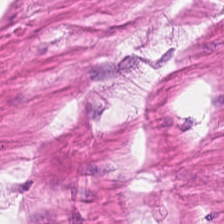Stain: hematoxylin and eosin.
Tissue class: smooth-muscle tissue.
